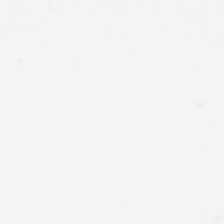H&E-stained tissue section — Background — no tissue in this field.
